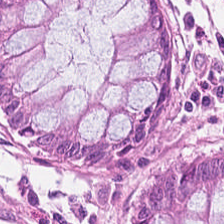Stain: hematoxylin and eosin.
Acquisition: brightfield microscopy.
Preparation: formalin-fixed paraffin-embedded section.
Classification: non-neoplastic colon mucosa.
